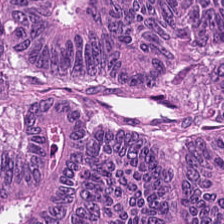Hematoxylin-and-eosin stained section. 224×224 px tile — {"tissue_type": "tumor epithelium"}
